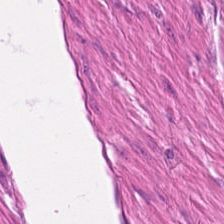H&E.
Showing smooth muscle.
